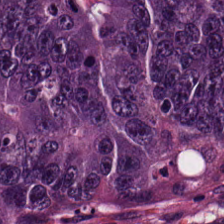H&E — This patch shows colorectal adenocarcinoma epithelium.
